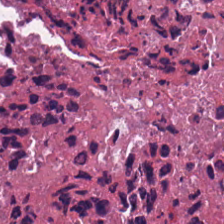H&E. Predominantly cellular debris.
